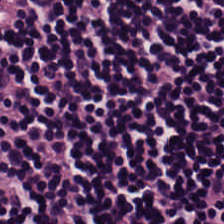Hematoxylin and eosin; FFPE tissue section; 0.5 µm per pixel.
Lymphoid infiltrate.
